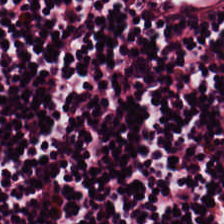H&E-stained tissue section. Q: What does this patch show?
A: Lymphocytic infiltrate.
